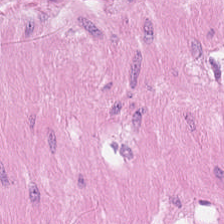H&E stain.
Histology — smooth muscle.
